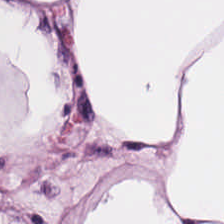The tissue class is adipose tissue.
